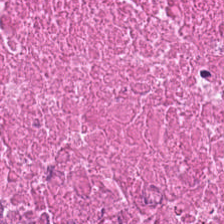WSI patch · hematoxylin and eosin · 0.5 microns per pixel — Cellular debris.
